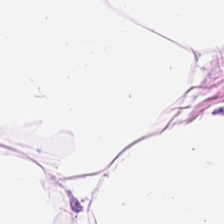Brightfield microscopy; 224×224 pixel tile; H&E stain. Q: What is shown in this field?
A: The field shows fat tissue.
